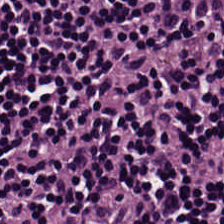224×224 px tile; hematoxylin-and-eosin stained section — Tissue type — lymphoid infiltrate.
